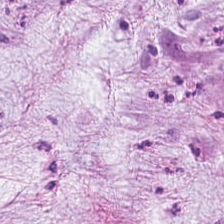H&E — The predominant tissue is mucin.
